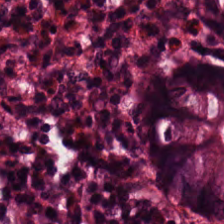H&E-stained tissue section. The tissue here is non-neoplastic colon mucosa.
